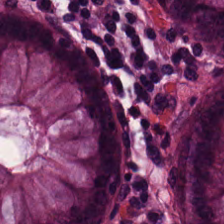Impression → benign colonic mucosa.
